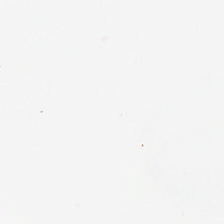No tissue.
